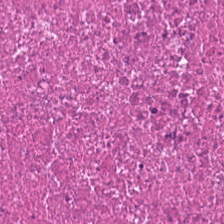Hematoxylin and eosin. {"tissue_type": "cellular debris"}
